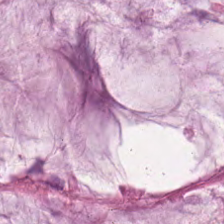0.5 microns per pixel. Hematoxylin and eosin.
The predominant tissue is mucus.
